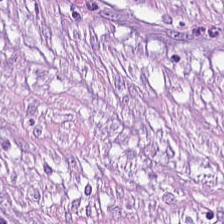H&E stain.
Predominant tissue = tumor stroma.
